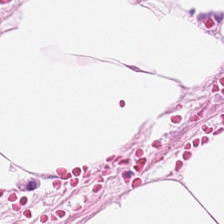H&E-stained tissue section — Classification: adipocytes.
